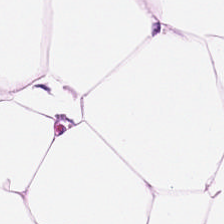This field is adipocytes.
